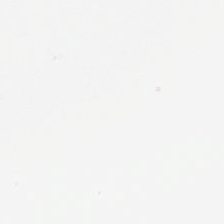20× equivalent magnification; FFPE; hematoxylin and eosin. Background.
